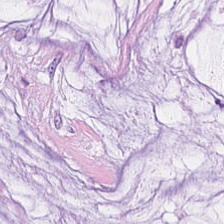Hematoxylin and eosin.
Q: Identify the tissue.
A: This is mucin.
